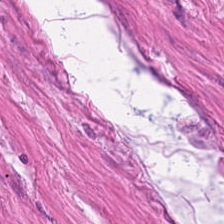Whole-slide-image patch · H&E · 224×224 pixel tile. The predominant tissue is smooth muscle.
